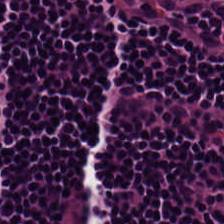H&E-stained tissue section showing lymphocytic infiltrate.
